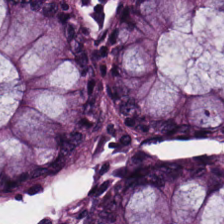Hematoxylin and eosin — The predominant tissue is benign colonic mucosa.
